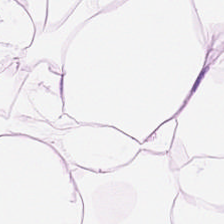H&E-stained tissue section. Q: What tissue is shown?
A: It is adipose.
